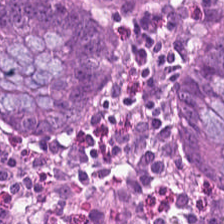H&E; formalin-fixed paraffin-embedded section. {"tissue_type": "normal colonic mucosa"}
